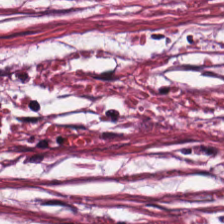H&E — tumor-associated stroma.
